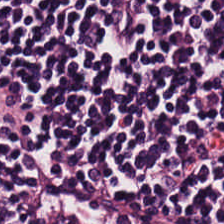0.5 µm per pixel; hematoxylin and eosin; WSI patch.
{"tissue_type": "lymphocytic infiltrate"}
